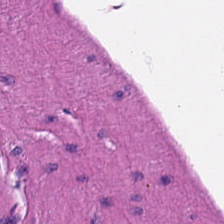H&E; brightfield — Smooth muscle.
